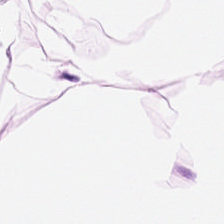Tissue: adipocytes.
